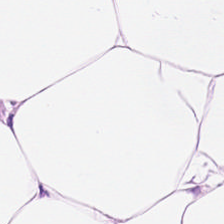H&E-stained tissue section.
Q: What is shown here?
A: It is adipocytes.
